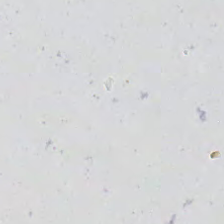Empty field — background (no tissue).
